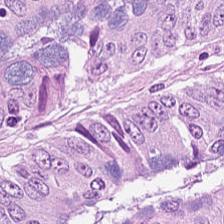Brightfield; H&E stain. Tissue type — malignant epithelium.
